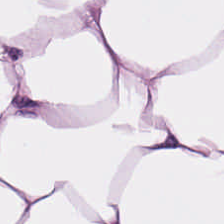FFPE tissue section. H&E stain — The predominant tissue is adipose.
